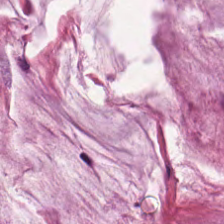H&E-stained section; the field shows mucin.
